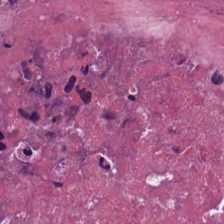Q: What does this patch show?
A: The field shows debris.
